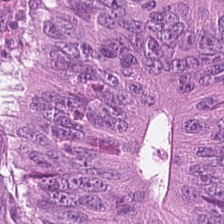H&E stain; 224×224 px tile. Tissue type: malignant epithelium.
